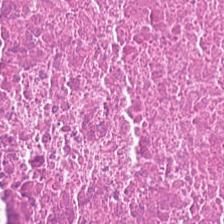Whole-slide-image patch; H&E-stained tissue section. Showing cellular debris.
